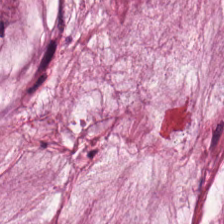WSI patch. H&E. 20× equivalent magnification. The tissue here is mucus.
